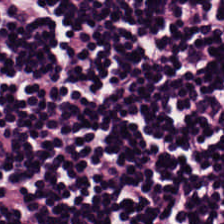H&E stain. Lymphocytes.
